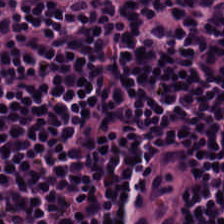H&E stain.
Tissue = lymphoid infiltrate.
